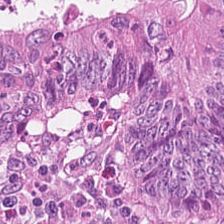H&E-stained tissue section · 0.5 µm/px — {"tissue_type": "colorectal adenocarcinoma"}
